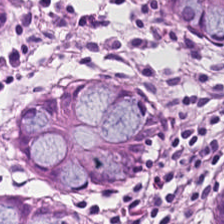Formalin-fixed paraffin-embedded section. Hematoxylin-and-eosin stained section. The predominant tissue is normal colon mucosa.
